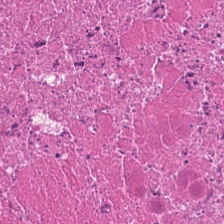H&E stain; 224×224 px tile; 0.5 µm per pixel. Impression → cellular debris.
